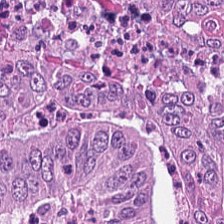0.5 µm/px · WSI patch · H&E stain — Tissue = colorectal adenocarcinoma.
